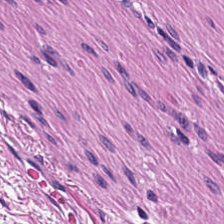H&E. Predominant tissue — muscularis.
